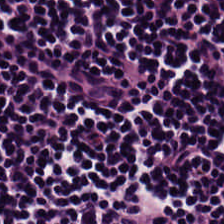H&E-stained tissue section — Lymphocytes.
